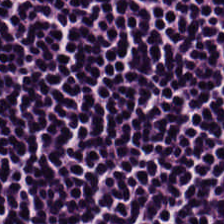Stain: H&E stain.
Tissue type: lymphoid infiltrate.
